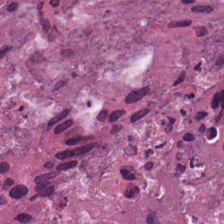FFPE tissue section · 0.5 µm per pixel · H&E.
The tissue here is cellular debris.
